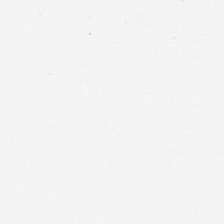H&E stain. 224×224 px tile — The field content is no tissue.
